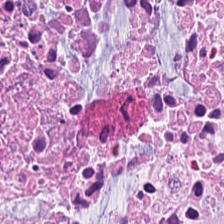Stain: H&E.
Resolution: 0.5 microns per pixel.
Tissue class: necrotic debris.
